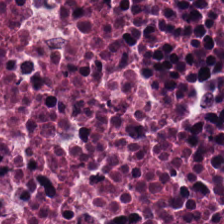Tissue class = cellular debris.
